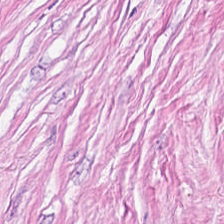H&E — {"tissue_type": "tumor stroma"}
